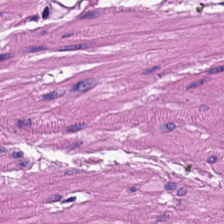Stain: H&E stain.
Acquisition: whole-slide-image patch.
Tissue type: muscularis.
